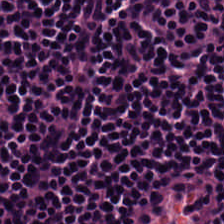H&E-stained tissue section · 224×224 px patch. Lymphocyte aggregate.
